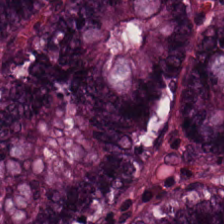H&E stain. This field is non-neoplastic colon mucosa.
